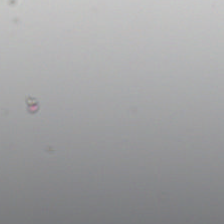224×224 px tile. Hematoxylin-and-eosin stained section. Brightfield microscopy.
Finding — background.
